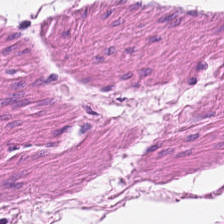Hematoxylin and eosin.
This field is muscularis.
